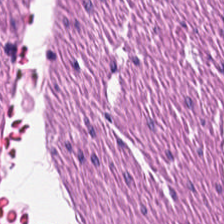H&E. Tissue type: smooth-muscle tissue.
